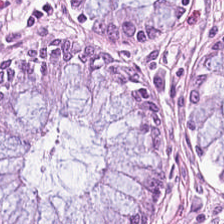H&E-stained tissue section showing benign colonic mucosa.
